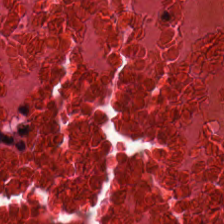Formalin-fixed paraffin-embedded section · H&E-stained tissue section — Finding → necrotic debris.
